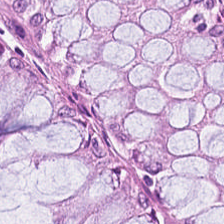H&E — Q: Identify the tissue.
A: It is normal colon mucosa.
